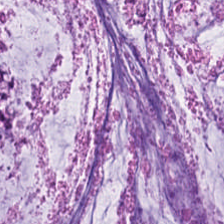0.5 microns per pixel · hematoxylin and eosin — The predominant tissue is mucin.
